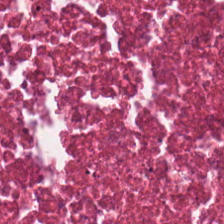Brightfield; H&E.
The tissue here is debris.
